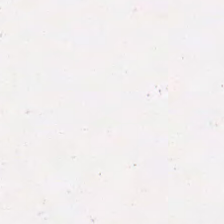Brightfield · hematoxylin-and-eosin stained section.
Q: What tissue type is shown here?
A: It is debris.
